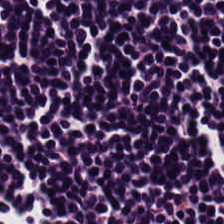Tissue: lymphocyte aggregate.
